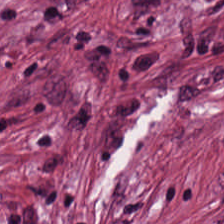This field is tumor-associated stroma.
